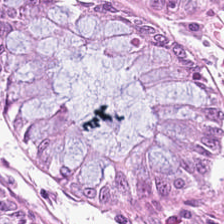H&E stain. Classification — normal colon mucosa.
